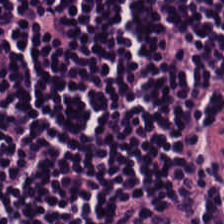Classification = lymphocytic infiltrate.
